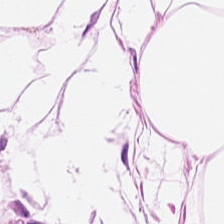This field is adipose tissue.
